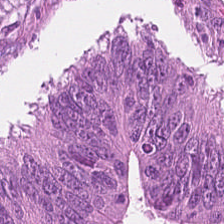Stain: H&E stain.
Tile size: 224×224 px tile.
Tissue class: colorectal adenocarcinoma.
